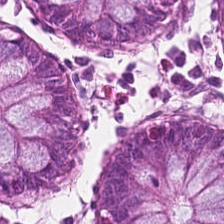H&E-stained tissue section. Predominant tissue: benign colonic mucosa.
